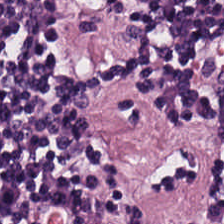H&E. The tissue here is lymphoid infiltrate.
